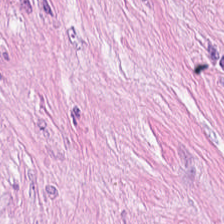Stain: hematoxylin-and-eosin stained section.
Resolution: 0.5 µm per pixel.
Classification: cancer-associated stroma.
